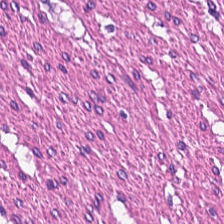Histology — smooth muscle.
